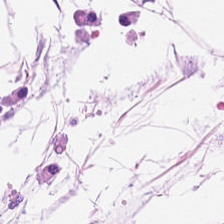Q: What tissue type is shown here?
A: This is adipose.
